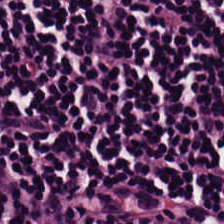FFPE. H&E-stained tissue section. Tissue type — lymphoid infiltrate.
